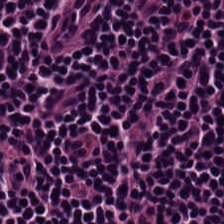H&E stain.
Q: What is the predominant tissue type?
A: The field shows lymphoid infiltrate.
